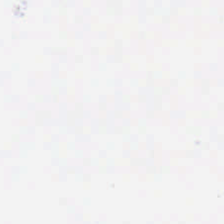No tissue present; background only.
